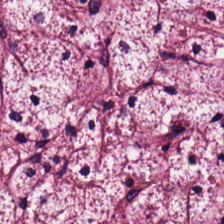H&E stain · 0.5 µm/px.
Predominant tissue: tumor-associated stroma.
